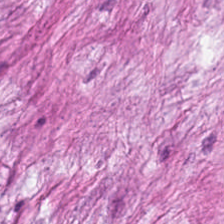Hematoxylin and eosin; FFPE — Showing cancer-associated stroma.
